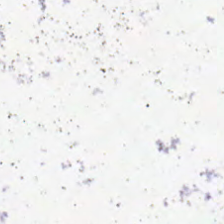Stain: hematoxylin and eosin.
Field content: background (no tissue).
